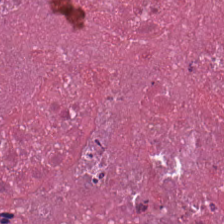H&E; formalin-fixed paraffin-embedded section.
The tissue here is debris.
